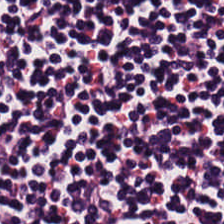Stain: hematoxylin and eosin.
Tissue: lymphocytes.
